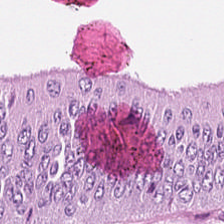H&E; brightfield — Predominant tissue: tumor epithelium.
